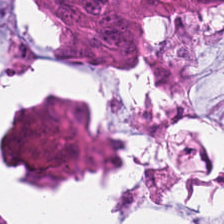Brightfield · FFPE · H&E-stained tissue section — This field is colorectal adenocarcinoma.
